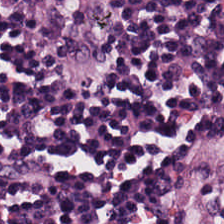H&E stain — Tissue type: lymphocytes.
